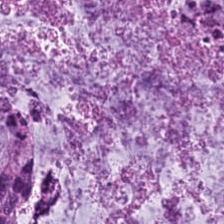FFPE; H&E — Q: Identify the tissue.
A: The field shows mucin.
